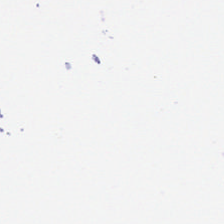{"content": "background (no tissue)"}
